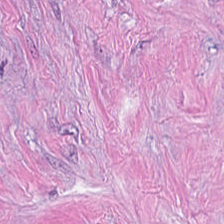224×224 px patch · H&E stain.
Q: Identify the tissue.
A: Cancer-associated stroma.
